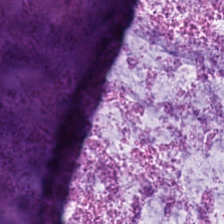Stain: H&E-stained tissue section.
Tile size: 224×224 px tile.
Acquisition: WSI patch.
Tissue class: mucin.
